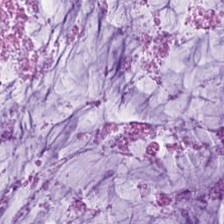H&E-stained tissue section; formalin-fixed paraffin-embedded section.
Q: What is the predominant tissue type?
A: The field shows mucus.
